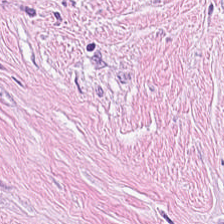Hematoxylin-and-eosin section: tumor stroma.
